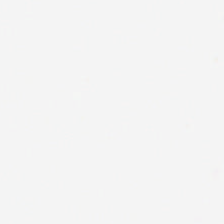H&E.
Field content = no tissue.
